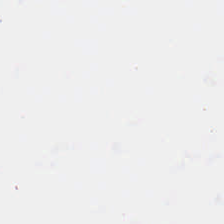Hematoxylin and eosin. This patch shows background (no tissue).
